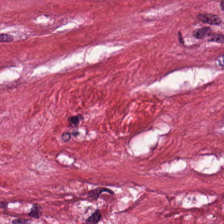Stain: H&E stain.
Tile size: 224×224 px tile.
Predominant tissue: desmoplastic stroma.
